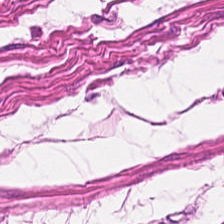H&E — smooth muscle.
